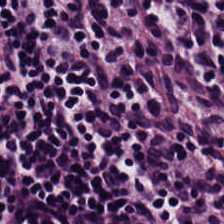Stain: hematoxylin-and-eosin stained section.
Classification: lymphoid infiltrate.
